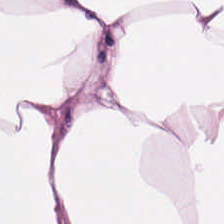H&E stain · formalin-fixed paraffin-embedded section · 20× equivalent magnification.
Predominantly adipose.
